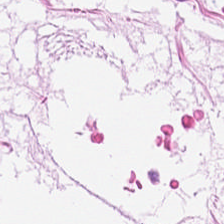Stain: hematoxylin-and-eosin stained section.
Predominant tissue: fat tissue.
